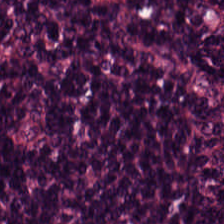224×224 pixel tile. H&E. 0.5 microns per pixel — Predominantly lymphocytes.
